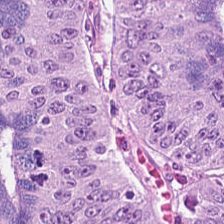Hematoxylin-and-eosin stained section; FFPE.
Adenocarcinoma.
